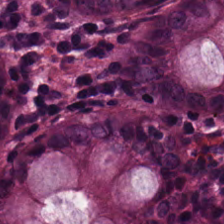224×224 px tile. H&E stain. Predominantly benign colonic mucosa.
